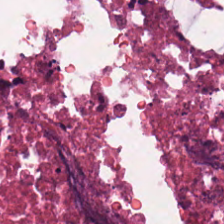The predominant tissue is debris.
